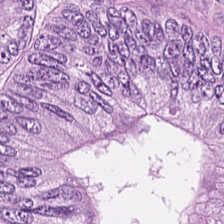H&E — Histology → colorectal adenocarcinoma epithelium.
